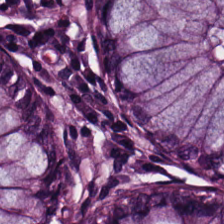Stain: H&E-stained tissue section.
Resolution: 0.5 µm/px.
Tissue: non-neoplastic colon mucosa.
